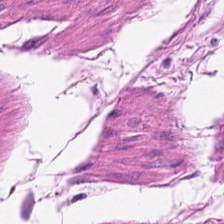Stain: hematoxylin and eosin.
Tissue class: muscularis.
